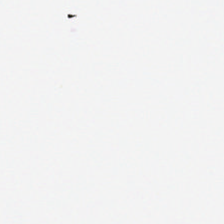224×224 px patch. Hematoxylin and eosin — Background — no tissue in this field.
